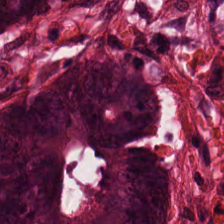Stain: H&E stain.
Acquisition: WSI patch.
Predominant tissue: malignant epithelium.
